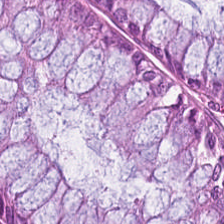{"tissue_type": "normal colonic mucosa"}
